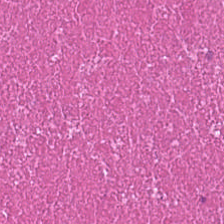H&E stain · whole-slide-image patch.
{"tissue_type": "debris"}
